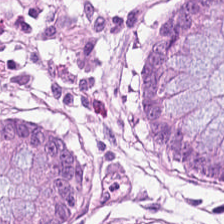Tissue class — non-neoplastic colon mucosa.
